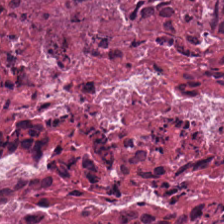H&E stain.
Showing cellular debris.
